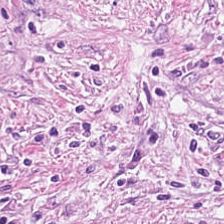224×224 px patch. Hematoxylin-and-eosin stained section.
Q: What is the predominant tissue type?
A: Desmoplastic stroma.
